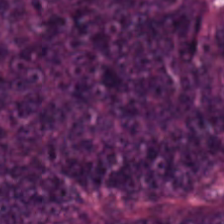H&E stain — Q: What is shown in this field?
A: Malignant epithelium.
